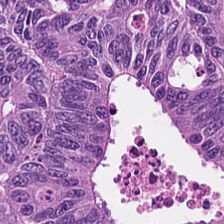224×224 pixel tile. H&E stain. Showing adenocarcinoma.
